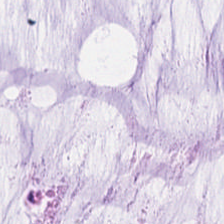224×224 px tile; H&E.
This field is mucin.
